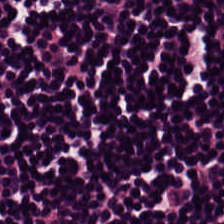224×224 pixel tile · H&E-stained tissue section. Q: What tissue type is shown here?
A: This is lymphocytic infiltrate.
